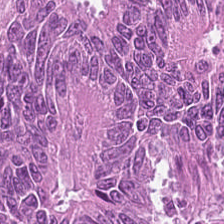This field is colorectal adenocarcinoma epithelium.
